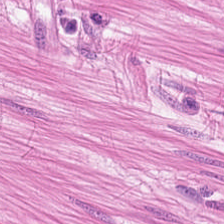Stain: H&E-stained tissue section.
Tissue class: muscularis.
